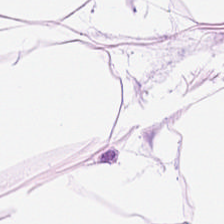Hematoxylin and eosin. Fat tissue.
